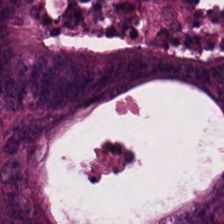Stain: H&E stain.
Tissue type: adenocarcinoma.
